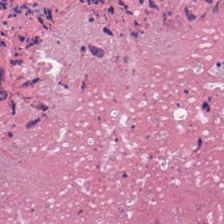Hematoxylin and eosin — {"tissue_type": "necrotic debris"}
